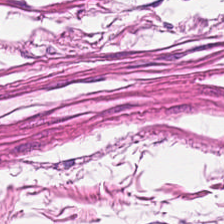Hematoxylin-and-eosin stained section. Histology → muscularis.
